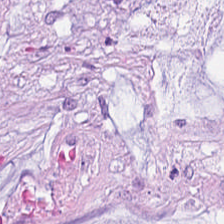The classification is mucin.
